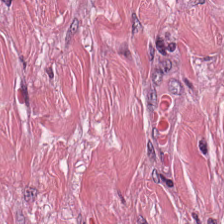Histology → tumor-associated stroma.
